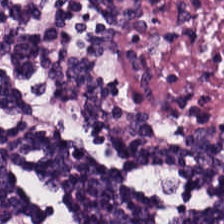WSI patch; hematoxylin and eosin; formalin-fixed paraffin-embedded section. The predominant tissue is lymphocytes.
